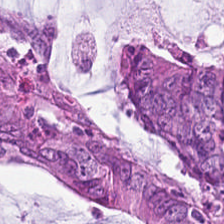Stain: H&E.
Tissue class: colorectal adenocarcinoma.
